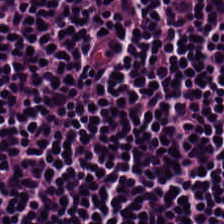H&E-stained tissue section. Whole-slide-image patch — Predominant tissue — lymphocytes.
